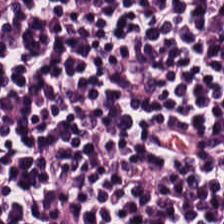224×224 px tile; H&E; FFPE tissue section. The predominant tissue is lymphocytic infiltrate.
